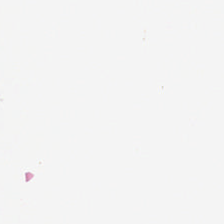0.5 µm/px; brightfield; H&E stain.
Q: Classify this patch.
A: The field shows empty background.
